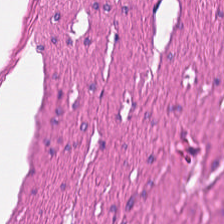Hematoxylin and eosin.
Predominantly smooth-muscle tissue.
